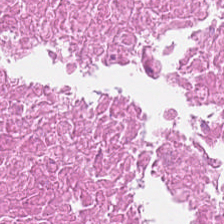224×224 pixel tile · hematoxylin-and-eosin stained section — {"tissue_type": "cellular debris"}
